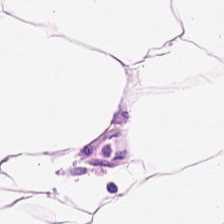Predominant tissue — adipose tissue.
